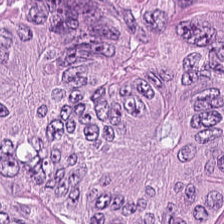0.5 microns per pixel; hematoxylin and eosin.
Q: What tissue type is shown here?
A: Colorectal adenocarcinoma epithelium.
